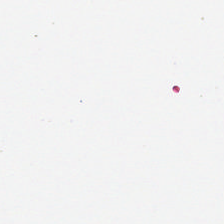0.5 microns per pixel. H&E.
Content = background.
